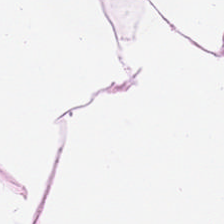Hematoxylin-and-eosin stained section; brightfield. Adipose tissue.
